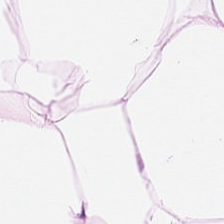Stain: hematoxylin-and-eosin stained section.
Tissue class: adipose.
